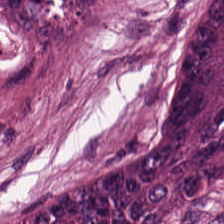Hematoxylin and eosin · 0.5 µm per pixel · brightfield. The predominant tissue is colorectal adenocarcinoma.
